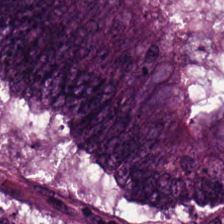Hematoxylin and eosin — Q: What tissue type is shown here?
A: The field shows adenocarcinoma.
